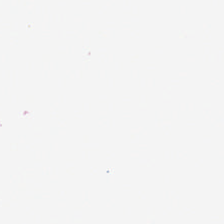Stain: H&E stain.
Preparation: FFPE tissue section.
Tile size: 224×224 pixel tile.
Field content: empty background.
